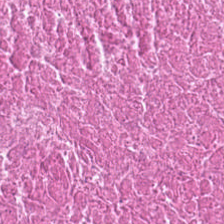Showing necrotic debris.
